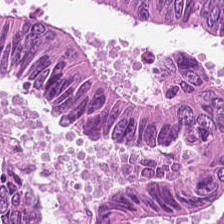Hematoxylin-and-eosin stained section — Tissue: colorectal adenocarcinoma.
